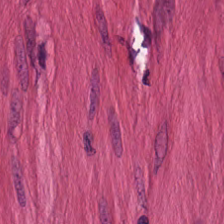Stain: H&E.
Tissue class: smooth muscle.
